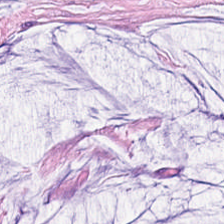Stain: H&E stain.
Tissue type: mucin.
